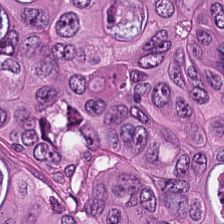Formalin-fixed paraffin-embedded section · H&E-stained tissue section · 0.5 µm/px — Tissue: malignant epithelium.
